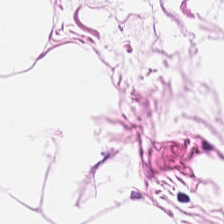Hematoxylin-and-eosin stained section. Adipose.
